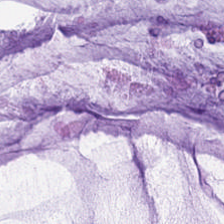Hematoxylin-and-eosin stained section — The predominant tissue is mucus.
